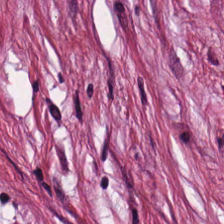H&E-stained tissue section showing tumor stroma.
